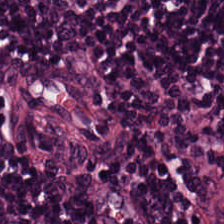H&E stain. This patch shows lymphocytic infiltrate.
